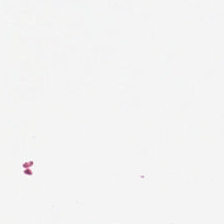Hematoxylin-and-eosin stained section. Classification — no tissue.
